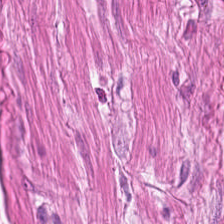Hematoxylin and eosin. Predominant tissue = smooth muscle.
